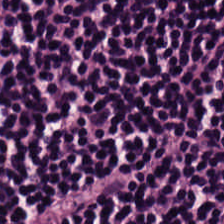H&E-stained tissue section. {"tissue_type": "lymphocytic infiltrate"}
